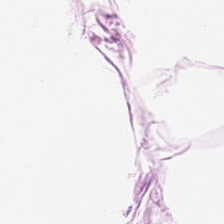Hematoxylin-and-eosin stained section. Impression — adipose tissue.
